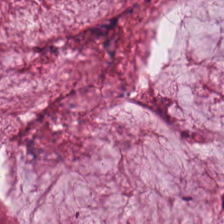Hematoxylin and eosin — Extracellular mucin.
